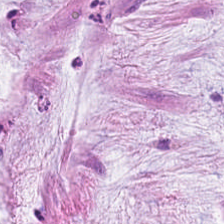Q: Identify the tissue.
A: This is mucus.
